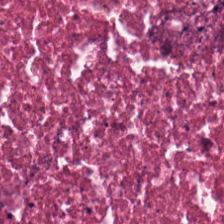Formalin-fixed paraffin-embedded section; H&E stain — Showing necrotic debris.
